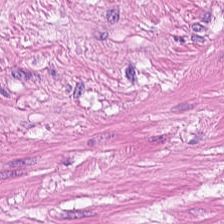Stain: H&E stain.
Tissue: smooth-muscle tissue.
